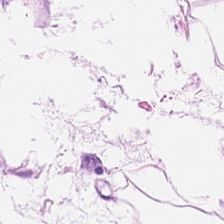Predominant tissue = adipose tissue.
